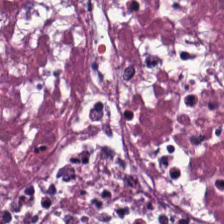FFPE. H&E. 224×224 px tile. Finding → necrotic debris.
